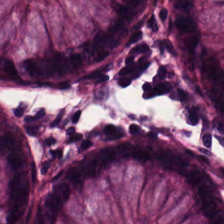H&E-stained tissue section · 20× equivalent magnification. The predominant tissue is normal colon mucosa.
